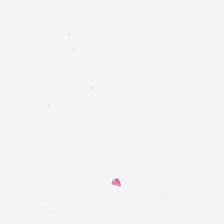H&E stain.
No tissue present; background only.
